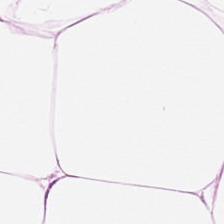Stain: hematoxylin-and-eosin stained section.
Tissue: adipose tissue.
